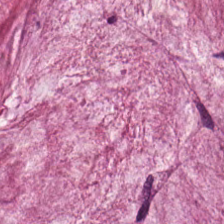0.5 µm per pixel · H&E stain. The predominant tissue is extracellular mucin.
